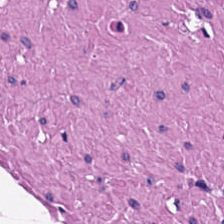0.5 µm/px. Brightfield microscopy. H&E stain — Q: Classify this patch.
A: The field shows smooth muscle.
